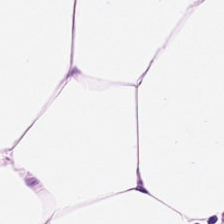FFPE tissue section. Hematoxylin-and-eosin stained section. Q: Classify this patch.
A: Adipose tissue.
